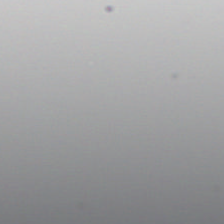FFPE tissue section · H&E stain.
Classification = background (no tissue).
